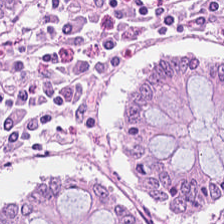H&E-stained tissue section — Benign colonic mucosa.
